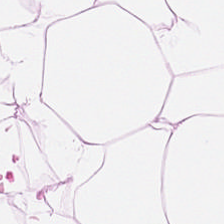H&E-stained tissue section. The tissue class is adipose.
